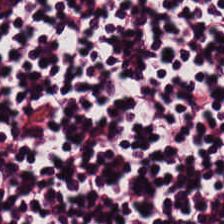H&E-stained tissue section.
Q: What tissue type is shown here?
A: Lymphocyte aggregate.
